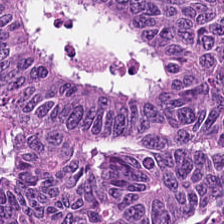Brightfield microscopy; H&E stain.
Q: What is shown here?
A: This is adenocarcinoma.
